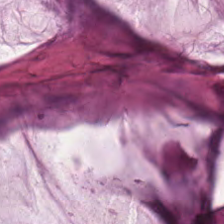H&E. Histology — mucin.
